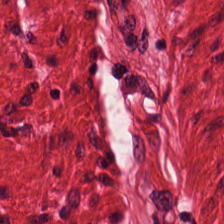Hematoxylin-and-eosin stained section.
Tissue type — muscularis.
